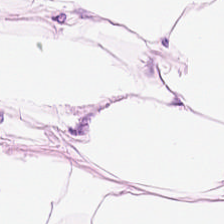Stain: H&E stain.
Acquisition: brightfield microscopy.
Tissue class: adipose.
